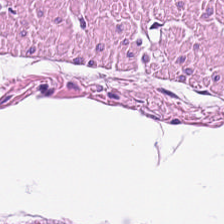Hematoxylin-and-eosin stained section. Impression → muscularis.
